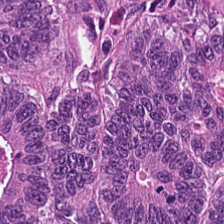Hematoxylin-and-eosin stained section · 0.5 microns per pixel.
Predominant tissue: malignant epithelium.
